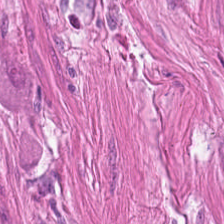The tissue class is smooth muscle.
